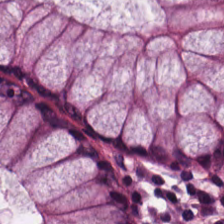Classification — non-neoplastic colon mucosa.
